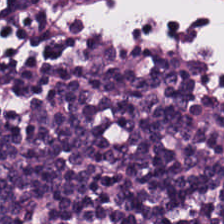H&E.
Classification = lymphocytic infiltrate.
